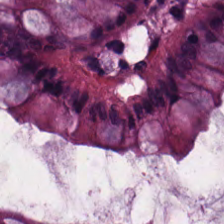Hematoxylin-and-eosin stained section — Finding — benign colonic mucosa.
